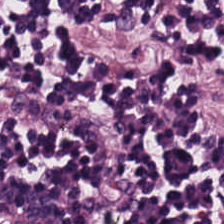Q: Identify the tissue.
A: The field shows lymphoid infiltrate.
